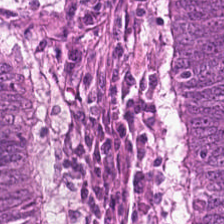Impression → adenocarcinoma.
